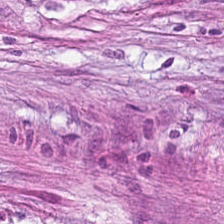Hematoxylin and eosin. Finding — cancer-associated stroma.
